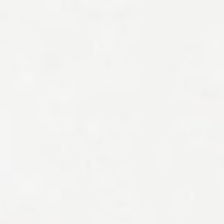Content = empty background.
